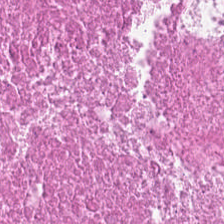H&E stain — The tissue type is necrotic debris.
